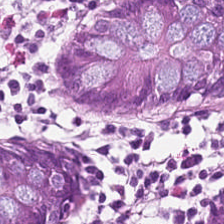Stain: H&E-stained tissue section.
Tissue class: normal colon mucosa.
